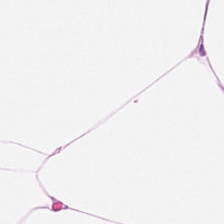Stain: hematoxylin and eosin.
Tissue: adipocytes.
